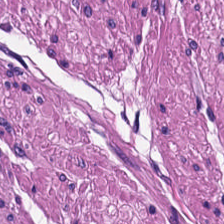Classification — muscularis.
